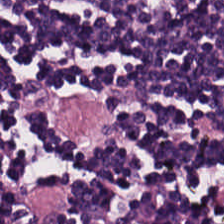H&E · 0.5 µm per pixel — The classification is lymphocyte aggregate.
